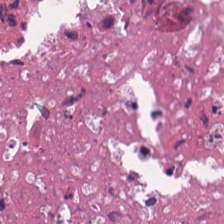Formalin-fixed paraffin-embedded section · hematoxylin-and-eosin stained section.
This field is necrotic debris.
